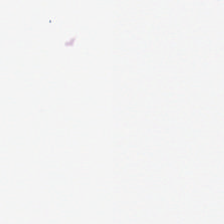Classification: empty background.
